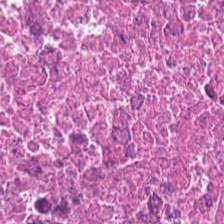Q: Identify the tissue.
A: It is cellular debris.
